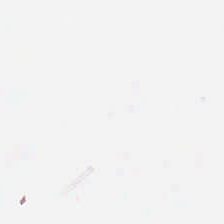This field is background (no tissue).
